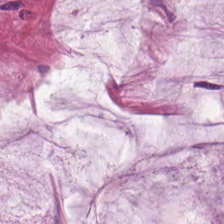Showing extracellular mucin.
